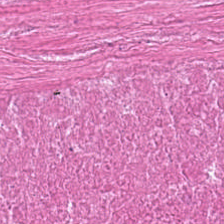H&E-stained tissue section. Tissue — cellular debris.
